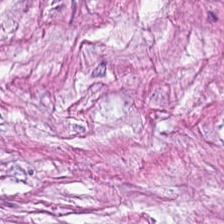Q: What does this patch show?
A: This is tumor-associated stroma.
